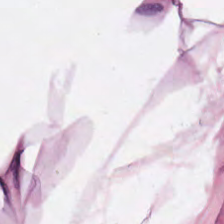Hematoxylin-and-eosin stained section.
Adipocytes.
